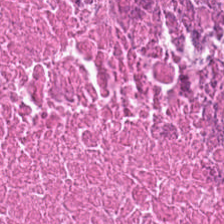H&E.
Predominant tissue = cellular debris.
